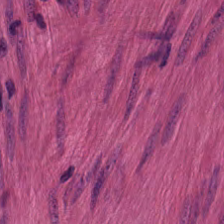Stain: H&E stain.
Preparation: FFPE tissue section.
Predominant tissue: muscularis.
